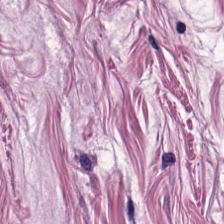H&E-stained tissue section. 224×224 px patch. Brightfield — Histology → smooth-muscle tissue.
